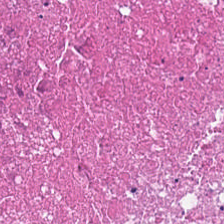Brightfield microscopy · hematoxylin-and-eosin stained section. The tissue type is cellular debris.
